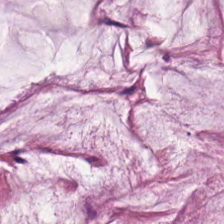Predominantly extracellular mucin.
